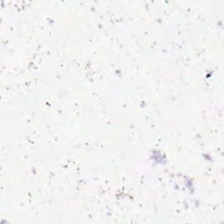H&E. The field content is no tissue.
